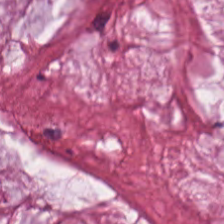H&E.
Predominantly mucin.
